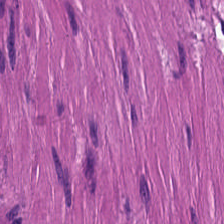{"tissue_type": "smooth-muscle tissue"}
